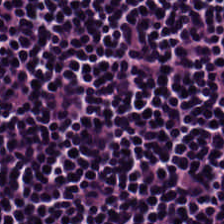Whole-slide-image patch · hematoxylin-and-eosin stained section · 0.5 µm/px.
Predominant tissue = lymphocyte aggregate.
